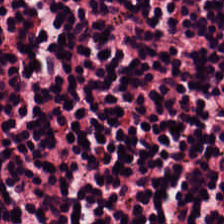FFPE; brightfield; H&E stain — This patch shows lymphocytes.
